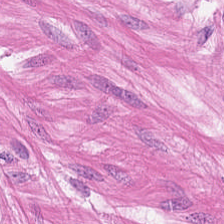Hematoxylin and eosin. 224×224 px tile. Formalin-fixed paraffin-embedded section. Muscularis.
